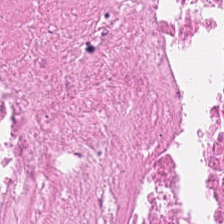Hematoxylin and eosin.
Q: What is shown in this field?
A: This is cellular debris.
